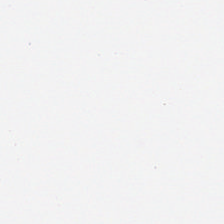Hematoxylin and eosin. 0.5 µm per pixel.
Content: background (no tissue).
